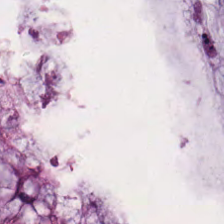FFPE tissue section. 224×224 px patch. Hematoxylin-and-eosin stained section. {"tissue_type": "extracellular mucin"}
